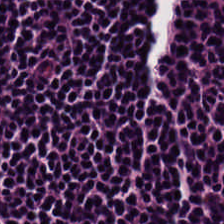H&E.
Predominant tissue: lymphocyte aggregate.
